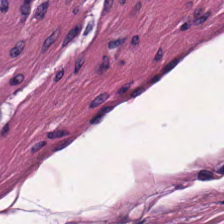Stain: H&E.
Tissue class: smooth-muscle tissue.
